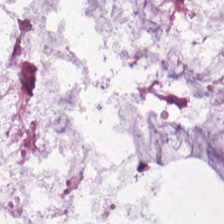Stain: hematoxylin-and-eosin stained section.
Tissue type: extracellular mucin.
